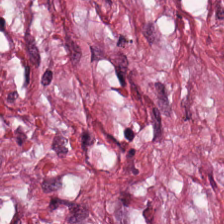H&E-stained tissue section; FFPE tissue section. Tumor-associated stroma.
